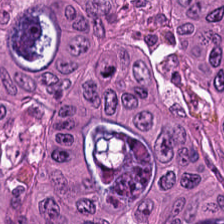Hematoxylin and eosin — Q: What does this patch show?
A: This is tumor epithelium.
